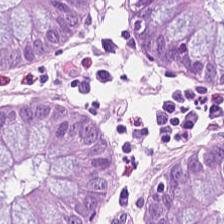224×224 px tile. H&E.
The tissue here is non-neoplastic colon mucosa.
